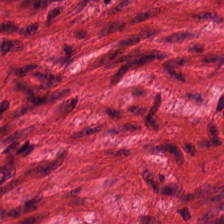Hematoxylin and eosin — Q: Identify the tissue.
A: It is smooth-muscle tissue.
